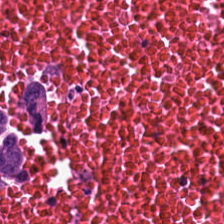Hematoxylin-and-eosin stained section; formalin-fixed paraffin-embedded section.
This field is cellular debris.
